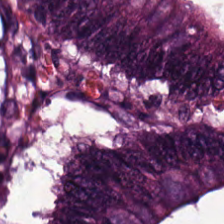Hematoxylin and eosin. Tissue class: colorectal adenocarcinoma.
